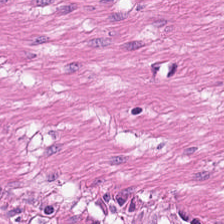The predominant tissue is smooth muscle.
